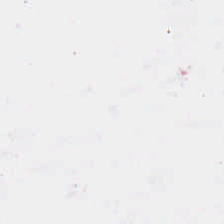20× equivalent magnification. H&E-stained tissue section.
{"content": "background (no tissue)"}
